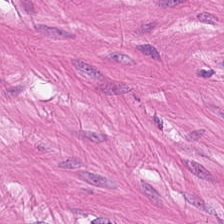Formalin-fixed paraffin-embedded section; H&E.
Q: What type of tissue is this?
A: It is smooth muscle.
